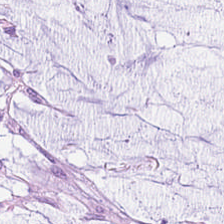H&E. Q: What is shown in this field?
A: It is mucin.
